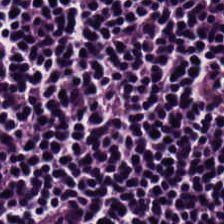Hematoxylin and eosin — The classification is lymphocytes.
